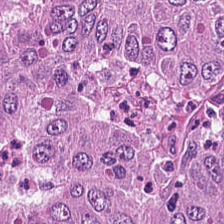H&E stain — Tissue type: tumor epithelium.
